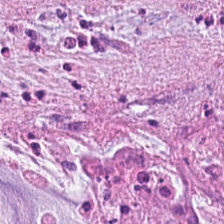Formalin-fixed paraffin-embedded section. H&E. Whole-slide-image patch.
{"tissue_type": "extracellular mucin"}
